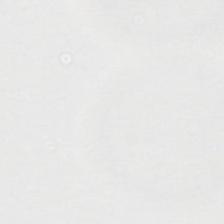20× equivalent magnification. H&E stain.
Finding — background (no tissue).
